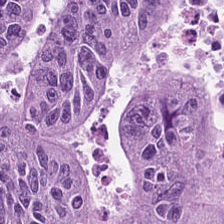H&E stain; 224×224 px tile — Tissue class: tumor epithelium.
